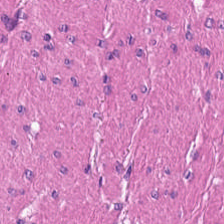Hematoxylin and eosin. Formalin-fixed paraffin-embedded section. Whole-slide-image patch. Impression → muscularis.
